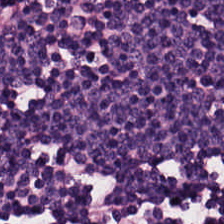Stain: hematoxylin-and-eosin stained section.
Predominant tissue: lymphocytes.
